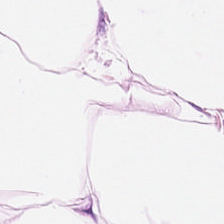This field is adipocytes.
